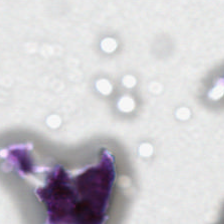Stain: H&E stain.
Tile size: 224×224 px tile.
Acquisition: whole-slide-image patch.
Classification: empty background.
